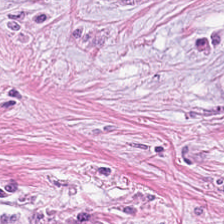Q: What type of tissue is this?
A: The field shows desmoplastic stroma.
